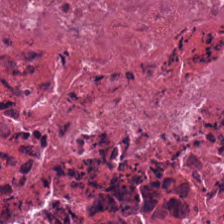Hematoxylin and eosin — Necrotic debris.
